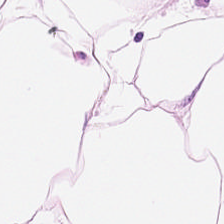H&E-stained tissue section. The predominant tissue is adipocytes.
